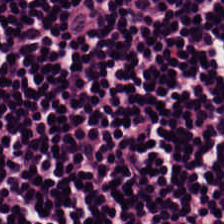Stain: H&E-stained tissue section.
Predominant tissue: lymphocytes.
